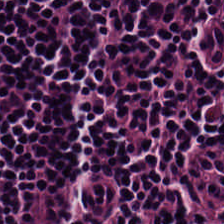H&E stain — {"tissue_type": "lymphoid infiltrate"}
